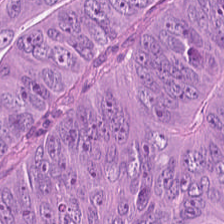H&E. This patch shows malignant epithelium.
